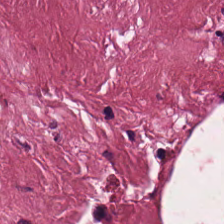WSI patch. H&E-stained tissue section — Q: What is shown in this field?
A: It is desmoplastic stroma.
